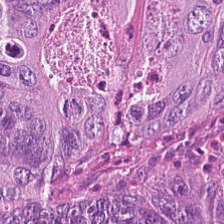Whole-slide-image patch; hematoxylin and eosin.
Q: What tissue is shown?
A: The field shows colorectal adenocarcinoma.
